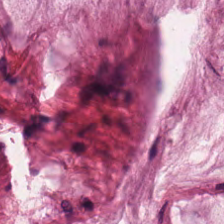Q: What is the predominant tissue type?
A: This is mucus.
